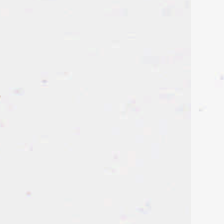Content = background (no tissue).
